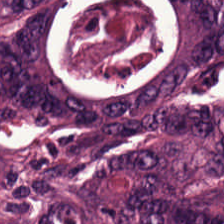Hematoxylin and eosin. 20× equivalent magnification — Q: What tissue is shown?
A: The field shows colorectal adenocarcinoma.
